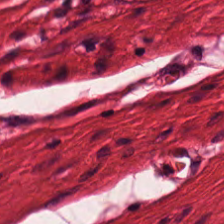224×224 px patch · whole-slide-image patch · hematoxylin and eosin. This field is smooth muscle.
